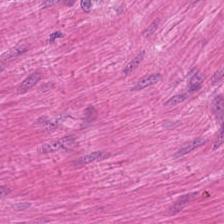H&E stain. Q: What is shown here?
A: The field shows muscularis.
